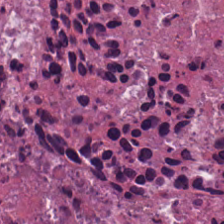Hematoxylin-and-eosin stained section — Histology → cellular debris.
